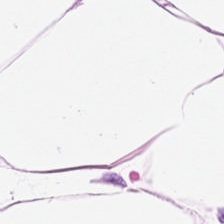224×224 px tile · formalin-fixed paraffin-embedded section · hematoxylin-and-eosin stained section.
Tissue = adipose tissue.
